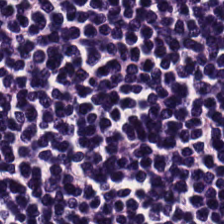H&E. Tissue class — lymphoid infiltrate.
